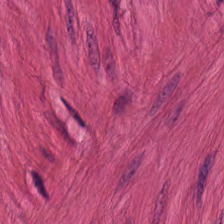H&E-stained tissue section; FFPE tissue section; 224×224 px patch — This field is smooth-muscle tissue.
